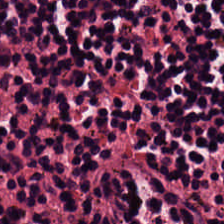Lymphoid infiltrate.
